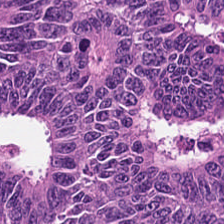H&E stain. Q: What tissue is shown?
A: The field shows colorectal adenocarcinoma epithelium.
